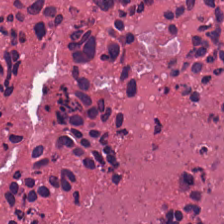Histology — cellular debris.
